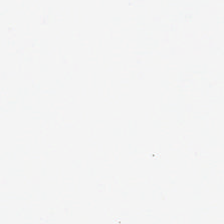224×224 px patch. Hematoxylin and eosin — This field is background (no tissue).
